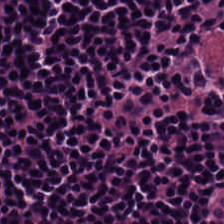Classification: lymphoid infiltrate.
